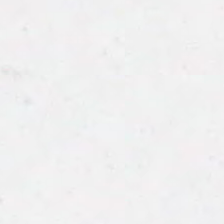Hematoxylin and eosin.
No tissue.
